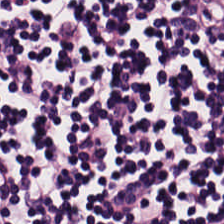H&E stain — This field is lymphocytic infiltrate.
